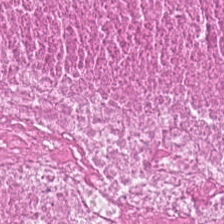Showing necrotic debris.
